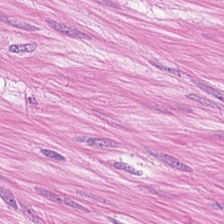Hematoxylin-and-eosin stained section. The tissue class is muscularis.
